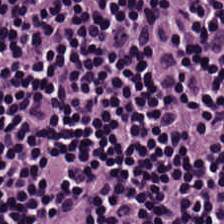H&E. 224×224 px tile. FFPE — This field is lymphocytic infiltrate.
